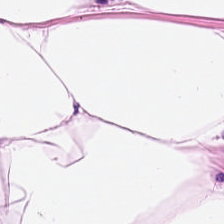Hematoxylin-and-eosin stained section; 224×224 px tile; formalin-fixed paraffin-embedded section. The classification is fat tissue.
